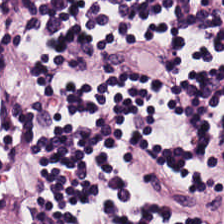H&E stain.
Predominant tissue = lymphocytes.
